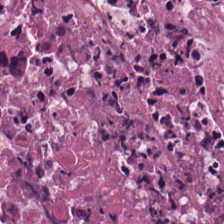This field is necrotic debris.
